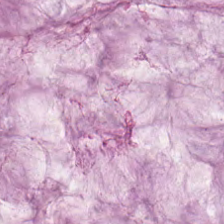H&E stain. Q: What is the predominant tissue type?
A: It is mucus.
